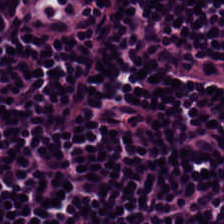Hematoxylin-and-eosin stained section — Showing lymphoid infiltrate.
